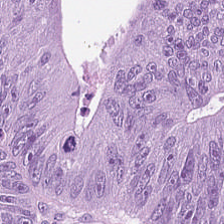H&E-stained tissue section. Impression — tumor epithelium.
